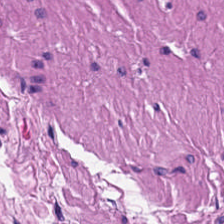Hematoxylin-and-eosin stained section; 0.5 µm/px.
The predominant tissue is muscularis.
